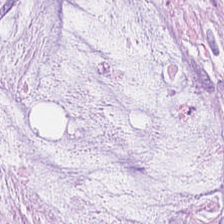Impression — mucin.
